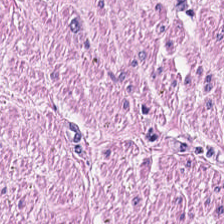Q: Classify this patch.
A: The field shows smooth muscle.
